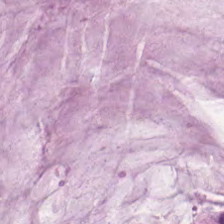Tissue class — extracellular mucin.
